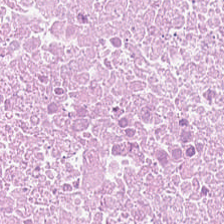Whole-slide-image patch. Hematoxylin-and-eosin stained section. This patch shows necrotic debris.
